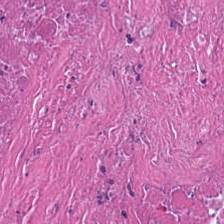Hematoxylin and eosin. Predominant tissue: debris.
